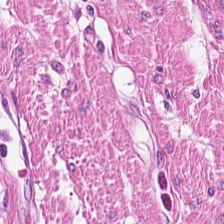Hematoxylin-and-eosin stained section · 224×224 px tile — This patch shows smooth-muscle tissue.
